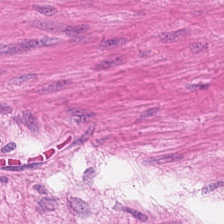Hematoxylin-and-eosin stained section. The tissue type is smooth muscle.
